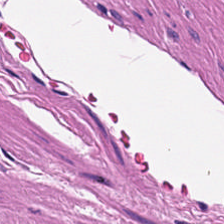Stain: H&E stain.
Classification: smooth-muscle tissue.
